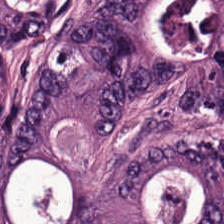0.5 µm per pixel; formalin-fixed paraffin-embedded section; H&E-stained tissue section — Q: Identify the tissue.
A: Adenocarcinoma.
